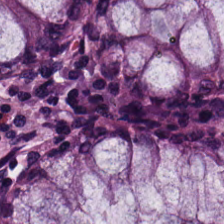Brightfield microscopy. H&E-stained tissue section — Q: What is the predominant tissue type?
A: This is non-neoplastic colon mucosa.
